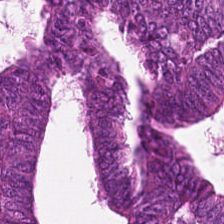H&E stain · 224×224 px tile · brightfield. Classification — malignant epithelium.
